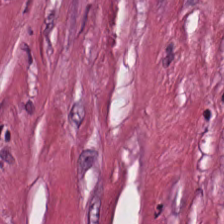Stain: hematoxylin and eosin.
Classification: tumor stroma.
